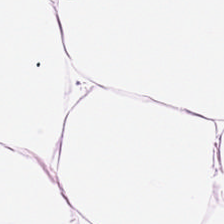Adipose.
